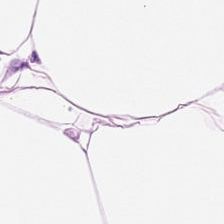H&E stain.
Q: What tissue is shown?
A: It is adipose tissue.
